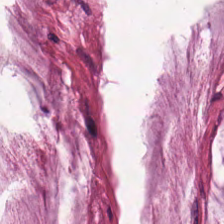Hematoxylin-and-eosin stained section · FFPE — Predominantly mucus.
